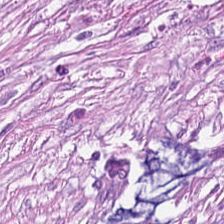Tissue: desmoplastic stroma.
